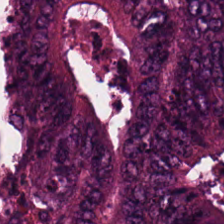Hematoxylin-and-eosin stained section; whole-slide-image patch — This patch shows tumor epithelium.
